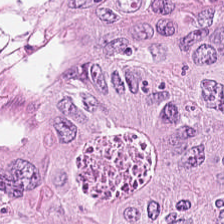20× equivalent magnification. Hematoxylin-and-eosin stained section. Brightfield. This patch shows colorectal adenocarcinoma epithelium.
